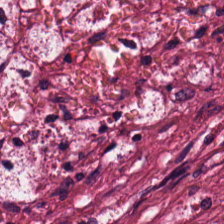H&E stain — Tissue type: cancer-associated stroma.
